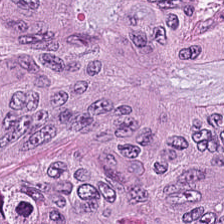H&E; brightfield — The tissue class is colorectal adenocarcinoma.
